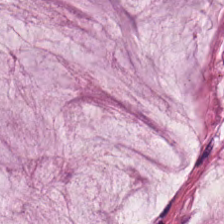H&E-stained tissue section.
{"tissue_type": "mucin"}
